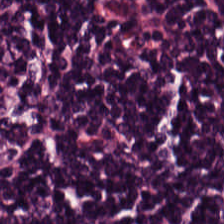Brightfield; hematoxylin and eosin; FFPE tissue section. The predominant tissue is lymphoid infiltrate.
